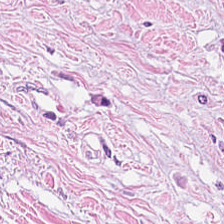Formalin-fixed paraffin-embedded section · hematoxylin and eosin.
The predominant tissue is tumor stroma.
